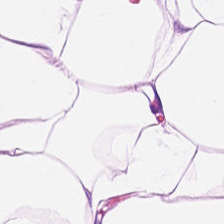Hematoxylin and eosin. Predominant tissue = fat tissue.
